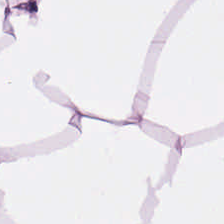This field is adipose.
